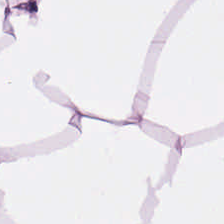This field is adipose.
